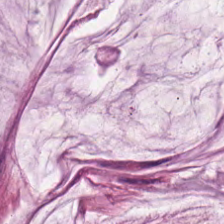Hematoxylin-and-eosin stained section.
Impression — extracellular mucin.
